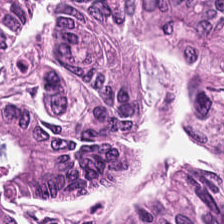Formalin-fixed paraffin-embedded section · H&E stain.
Tissue type = adenocarcinoma.
